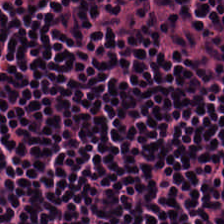H&E; WSI patch. Tissue type = lymphocyte aggregate.
